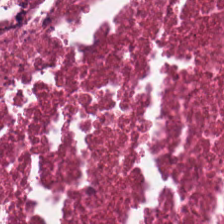Stain: hematoxylin and eosin.
Tissue: necrotic debris.
